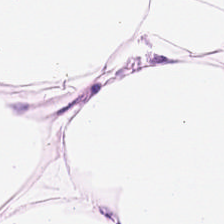H&E-stained tissue section — Showing fat tissue.
